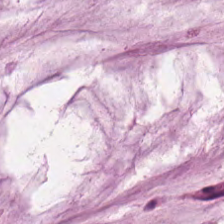Predominantly mucin.
